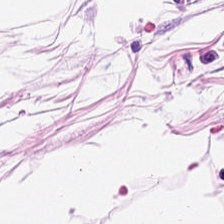H&E. Classification = adipose.
